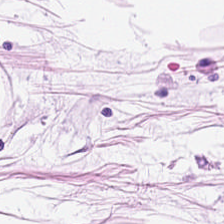Brightfield microscopy · hematoxylin and eosin — {"tissue_type": "adipocytes"}
